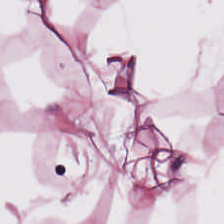Hematoxylin and eosin. Tissue type = adipocytes.
